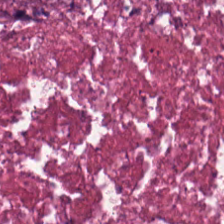H&E stain — Showing necrotic debris.
